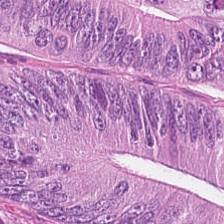Hematoxylin and eosin.
Tissue type = malignant epithelium.
